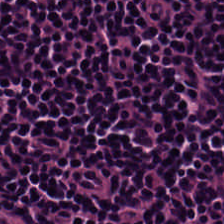Hematoxylin-and-eosin stained section.
Predominantly lymphocytic infiltrate.
